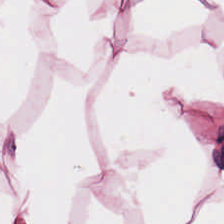The classification is adipose tissue.
